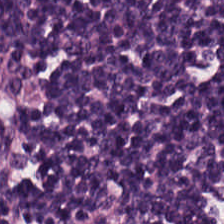Brightfield microscopy. H&E. This field is lymphoid infiltrate.
